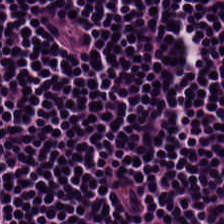The tissue class is lymphocyte aggregate.
